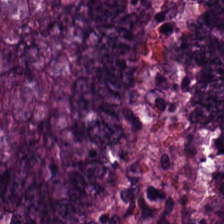Stain: H&E.
Acquisition: brightfield.
Resolution: 20× equivalent magnification.
Tissue: tumor epithelium.
